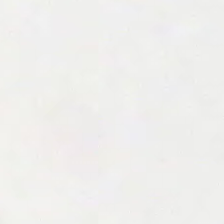Histology — no tissue.
